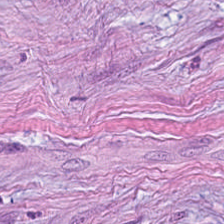Stain: hematoxylin-and-eosin stained section.
Tissue: cancer-associated stroma.
